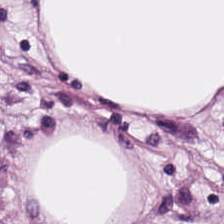Stain: H&E.
Resolution: 0.5 µm per pixel.
Tissue class: adipocytes.
